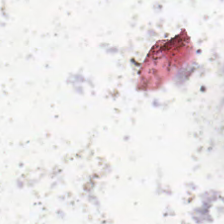H&E-stained tissue section.
The field content is background (no tissue).
